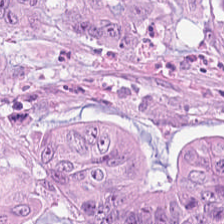Stain: H&E stain.
Preparation: FFPE tissue section.
Tissue class: tumor epithelium.
